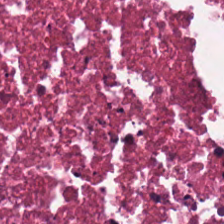0.5 µm per pixel; H&E.
Q: Identify the tissue.
A: Debris.
